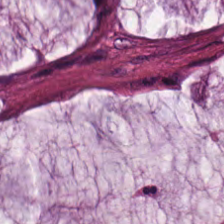Hematoxylin and eosin — Q: Identify the tissue.
A: The field shows mucin.
